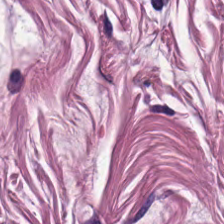Hematoxylin-and-eosin stained section · 224×224 px tile.
Tissue class: smooth muscle.
